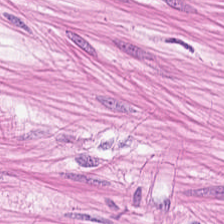The predominant tissue is smooth muscle.
